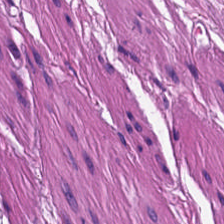Hematoxylin-and-eosin stained section · FFPE tissue section.
Predominantly muscularis.
